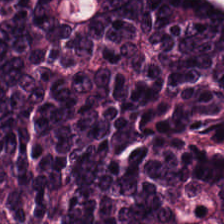Predominantly malignant epithelium.
